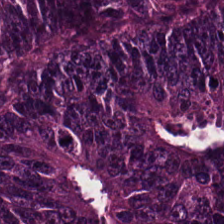224×224 px tile. H&E. FFPE. This field is tumor epithelium.
